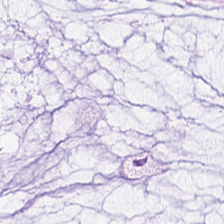Hematoxylin-and-eosin stained section.
Tissue class = mucus.
